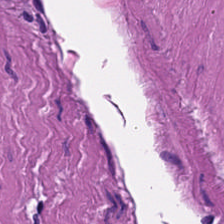Q: What type of tissue is this?
A: This is smooth muscle.
